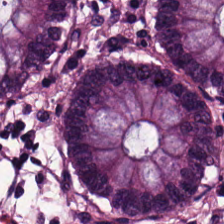Stain: hematoxylin-and-eosin stained section.
Tile size: 224×224 pixel tile.
Acquisition: brightfield microscopy.
Predominant tissue: normal colon mucosa.
